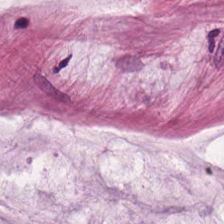FFPE tissue section · H&E stain — This patch shows mucin.
